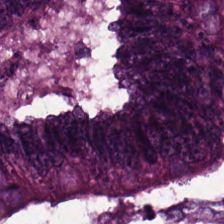FFPE tissue section · H&E-stained tissue section · whole-slide-image patch — {"tissue_type": "colorectal adenocarcinoma"}
